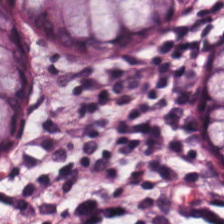H&E-stained section; the field shows normal colonic mucosa.
